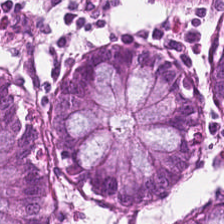224×224 px tile · hematoxylin-and-eosin stained section — Impression → normal colon mucosa.
